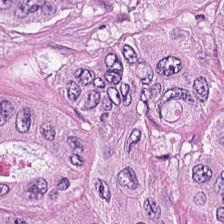Hematoxylin and eosin.
Q: What is the predominant tissue type?
A: The field shows colorectal adenocarcinoma epithelium.
